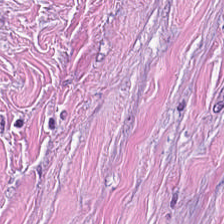This patch shows tumor stroma.
